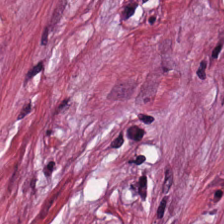WSI patch; H&E; 224×224 pixel tile — The tissue here is cancer-associated stroma.
